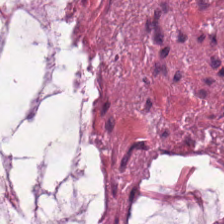20× equivalent magnification · H&E stain.
Tissue = extracellular mucin.
